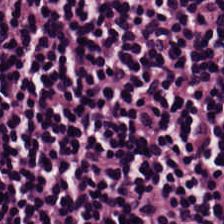Hematoxylin and eosin — Predominant tissue — lymphocyte aggregate.
